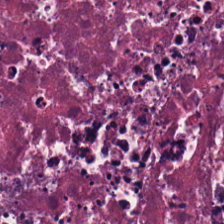H&E-stained tissue section — {"tissue_type": "cellular debris"}
